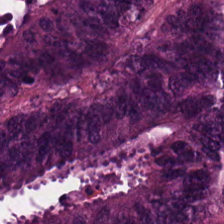H&E-stained tissue section — This field is malignant epithelium.
